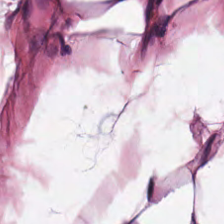Q: What tissue type is shown here?
A: Adipose.
